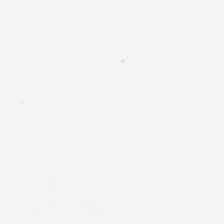Background — no tissue in this field.
